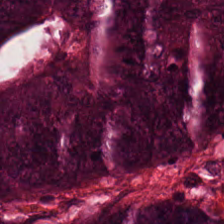H&E-stained tissue section.
Predominant tissue — colorectal adenocarcinoma epithelium.
